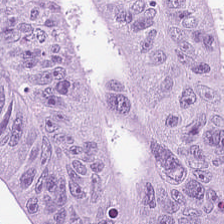0.5 µm per pixel. H&E.
Classification: colorectal adenocarcinoma.
